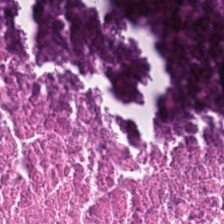Hematoxylin and eosin. 0.5 µm per pixel. Finding — cellular debris.
